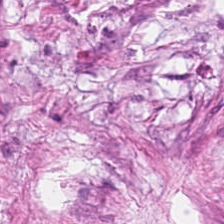Hematoxylin-and-eosin stained section · 20× equivalent magnification.
This patch shows tumor-associated stroma.
